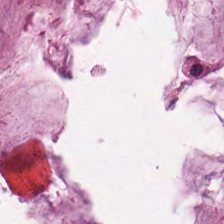224×224 px tile. H&E. The tissue type is extracellular mucin.
